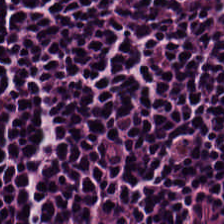224×224 px patch. 0.5 µm per pixel. Hematoxylin and eosin.
Q: What tissue is shown?
A: The field shows lymphocytic infiltrate.
